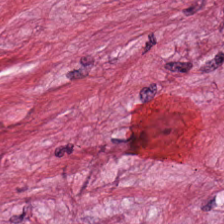Stain: hematoxylin and eosin.
Tissue class: desmoplastic stroma.
